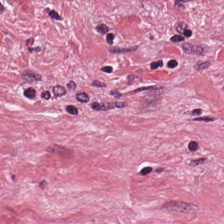H&E stain.
Q: What is the predominant tissue type?
A: This is desmoplastic stroma.
